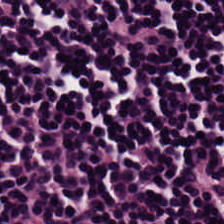H&E — lymphocytic infiltrate.
